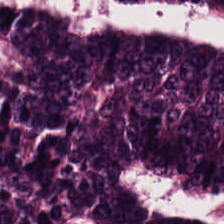Hematoxylin-and-eosin stained section.
Finding → colorectal adenocarcinoma epithelium.
